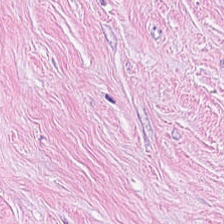{"tissue_type": "desmoplastic stroma"}
